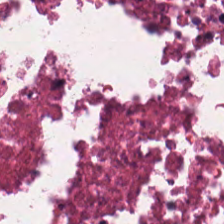H&E — Finding → cellular debris.
